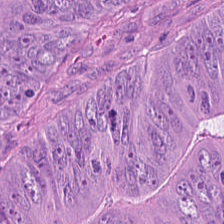The predominant tissue is tumor epithelium.
